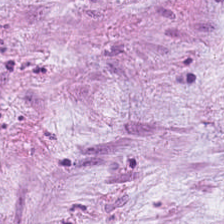Stain: H&E stain.
Tissue: mucin.
